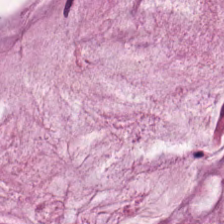Hematoxylin-and-eosin stained section · 20× equivalent magnification · 224×224 px tile — Predominantly mucus.
